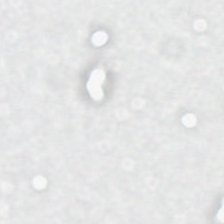Stain: H&E.
Classification: background (no tissue).
